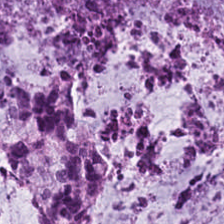Hematoxylin and eosin — Classification: extracellular mucin.
